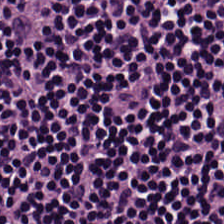FFPE; 224×224 pixel tile; hematoxylin and eosin.
Classification: lymphocyte aggregate.
